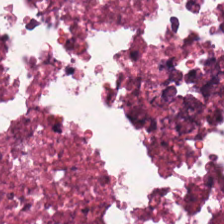Hematoxylin-and-eosin stained section — Showing debris.
